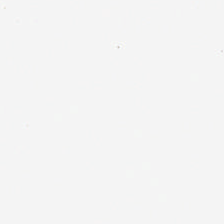Q: What does this patch show?
A: The field shows empty background.
